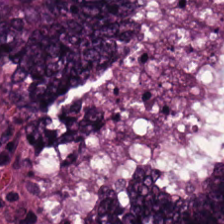The tissue type is malignant epithelium.
